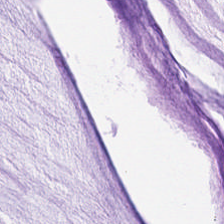Q: What tissue is shown?
A: This is extracellular mucin.
